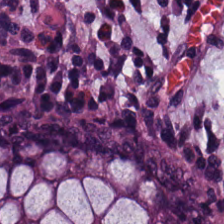Formalin-fixed paraffin-embedded section; H&E stain. Predominantly non-neoplastic colon mucosa.
